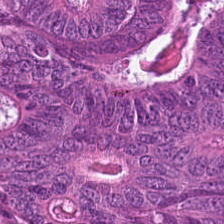H&E-stained tissue section; 224×224 pixel tile; FFPE tissue section — Q: What tissue type is shown here?
A: This is malignant epithelium.
